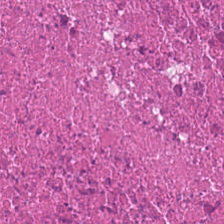Stain: hematoxylin and eosin.
Predominant tissue: necrotic debris.
